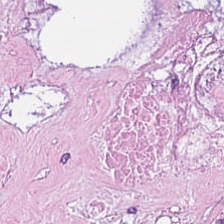224×224 px tile · H&E · 0.5 µm/px. Histology — cellular debris.
